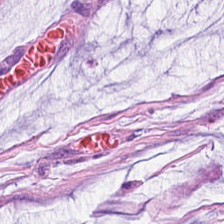Hematoxylin and eosin — Mucus.
